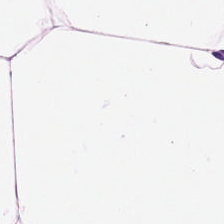H&E. 0.5 µm/px. Q: What does this patch show?
A: It is adipose.
